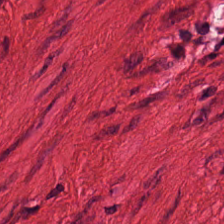H&E.
Tissue: smooth-muscle tissue.
